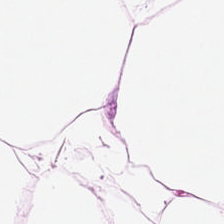Showing adipose.
